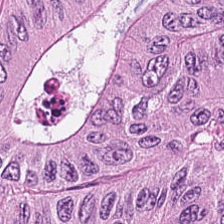Hematoxylin and eosin. The tissue type is colorectal adenocarcinoma epithelium.
